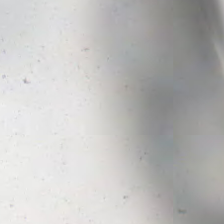224×224 px patch. Hematoxylin and eosin. Background (no tissue).
